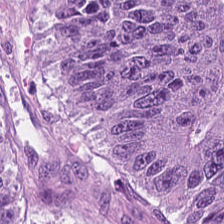H&E-stained tissue section. Brightfield microscopy. This field is tumor epithelium.
